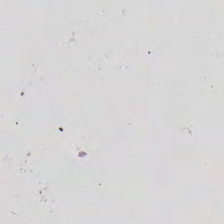Finding — no tissue.
